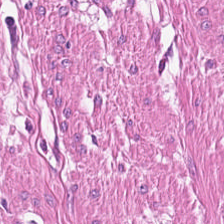H&E stain — This patch shows smooth muscle.
